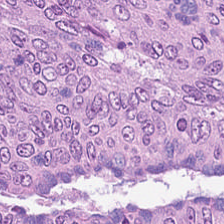H&E stain — Q: What does this patch show?
A: Adenocarcinoma.
